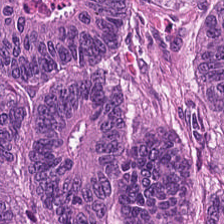The tissue here is malignant epithelium.
